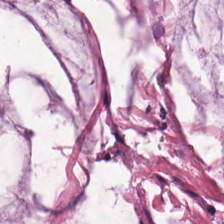Stain: H&E.
Tissue type: mucin.
